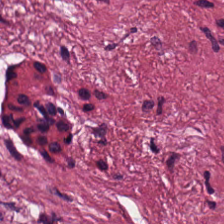Hematoxylin-and-eosin stained section. Q: What does this patch show?
A: This is desmoplastic stroma.
